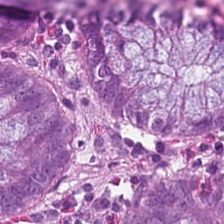0.5 µm/px · H&E · FFPE — Non-neoplastic colon mucosa.
